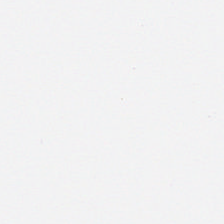H&E stain; 224×224 px tile — Content — background (no tissue).
